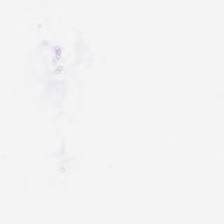H&E-stained tissue section. {"content": "background"}
